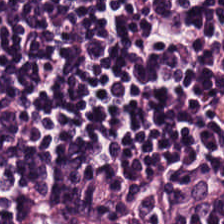Finding — lymphoid infiltrate.
